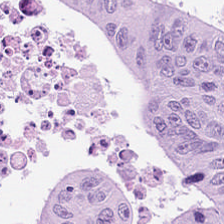Tissue class: adenocarcinoma.
